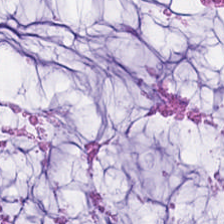Stain: hematoxylin and eosin.
Preparation: formalin-fixed paraffin-embedded section.
Predominant tissue: extracellular mucin.
